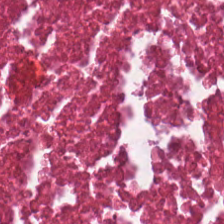H&E patch showing cellular debris.
